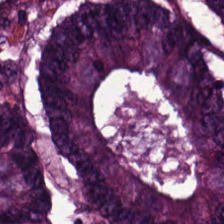H&E — Tissue class: malignant epithelium.
